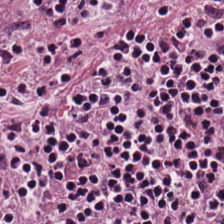Stain: hematoxylin and eosin.
Preparation: FFPE.
Acquisition: brightfield microscopy.
Predominant tissue: lymphocytic infiltrate.
